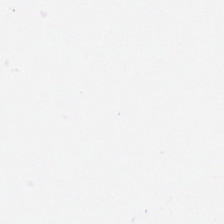WSI patch. H&E-stained tissue section.
Classification: no tissue.
